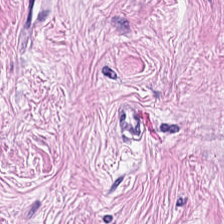Hematoxylin and eosin.
Predominantly cancer-associated stroma.
